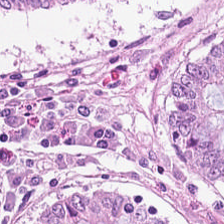Hematoxylin-and-eosin stained section · 224×224 px patch.
Predominant tissue: non-neoplastic colon mucosa.
